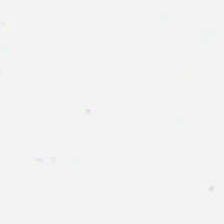Classification: empty background.
